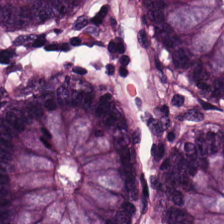Hematoxylin-and-eosin stained section — Predominantly benign colonic mucosa.
